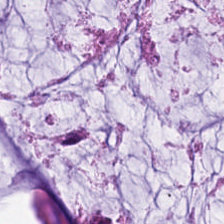Brightfield microscopy · hematoxylin-and-eosin stained section.
This patch shows mucus.
